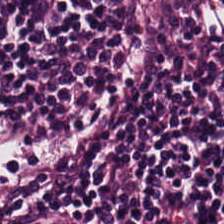Hematoxylin-and-eosin stained section.
Q: What does this patch show?
A: This is lymphocytic infiltrate.
